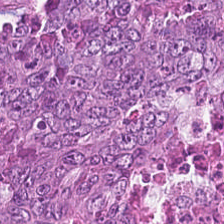H&E-stained tissue section. Q: What is the predominant tissue type?
A: It is adenocarcinoma.
